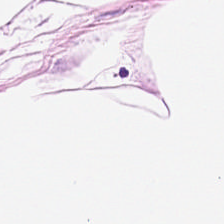Impression → fat tissue.
